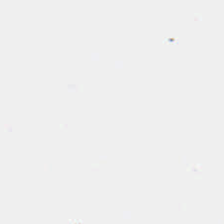Content — background.
